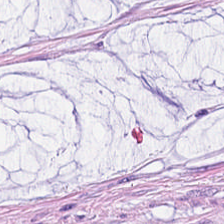WSI patch. H&E stain — This field is mucin.
